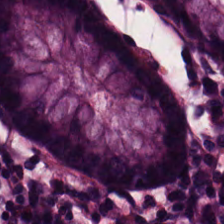Stain: H&E stain.
Tissue type: normal colonic mucosa.
